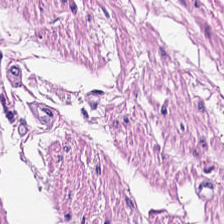Stain: hematoxylin-and-eosin stained section.
Tile size: 224×224 px patch.
Tissue class: smooth-muscle tissue.
